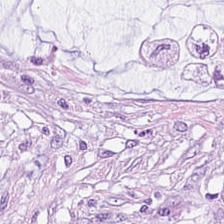20× equivalent magnification; H&E-stained tissue section. The tissue here is extracellular mucin.
